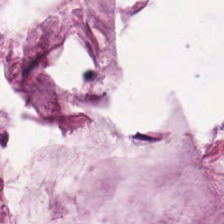Hematoxylin-and-eosin stained section · 20× equivalent magnification. Tissue type = extracellular mucin.
